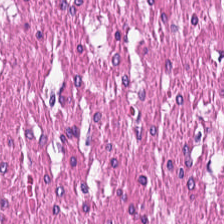Hematoxylin-and-eosin stained section · 224×224 pixel tile. Predominantly smooth-muscle tissue.
